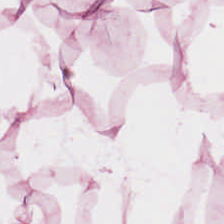Adipose tissue.
